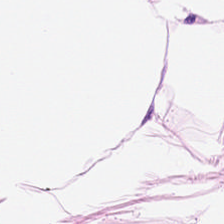Hematoxylin and eosin.
The classification is adipose tissue.
